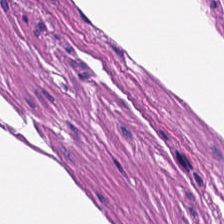Histology → muscularis.
